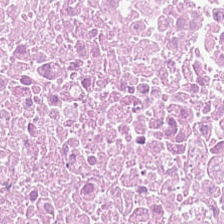Whole-slide-image patch. Hematoxylin and eosin — Classification: necrotic debris.
